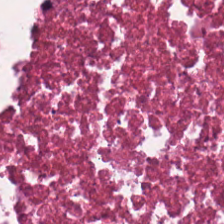Hematoxylin-and-eosin stained section.
Showing necrotic debris.
